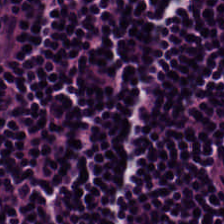FFPE. H&E-stained tissue section — Histology — lymphoid infiltrate.
